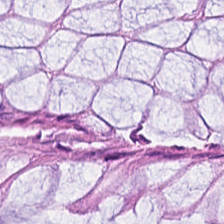Hematoxylin and eosin; 0.5 microns per pixel.
Q: What type of tissue is this?
A: It is non-neoplastic colon mucosa.
